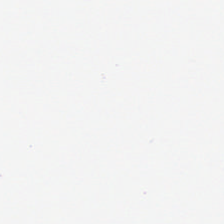0.5 µm/px · H&E stain. Classification: no tissue.
